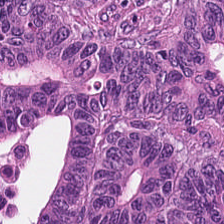FFPE. H&E-stained tissue section.
{"tissue_type": "colorectal adenocarcinoma epithelium"}
